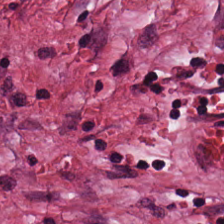H&E-stained tissue section. FFPE. Brightfield. Impression — tumor-associated stroma.
